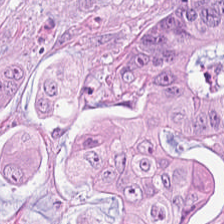Q: What does this patch show?
A: The field shows colorectal adenocarcinoma.
